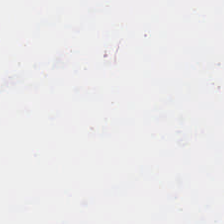0.5 µm per pixel · H&E. Classification: background (no tissue).
